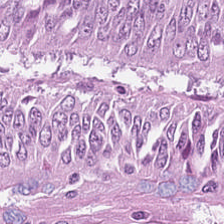Hematoxylin-and-eosin stained section.
The classification is adenocarcinoma.
